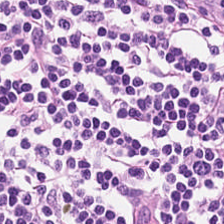H&E-stained tissue section. 0.5 microns per pixel.
The predominant tissue is lymphoid infiltrate.
